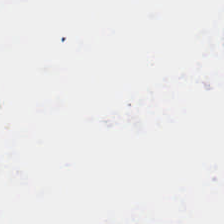Finding → background.
